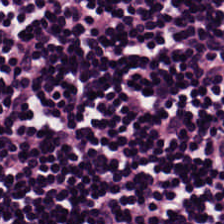H&E-stained tissue section — Q: What does this patch show?
A: This is lymphocytic infiltrate.
